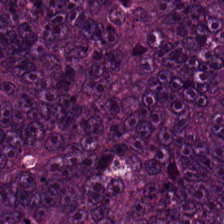H&E.
Showing malignant epithelium.
